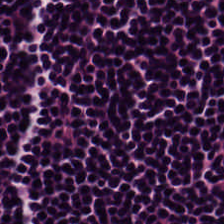H&E-stained tissue section — The tissue here is lymphocyte aggregate.
